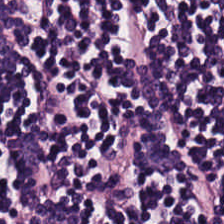FFPE; hematoxylin-and-eosin stained section.
Classification: lymphocyte aggregate.
